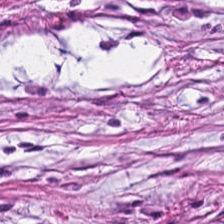H&E stain. Showing cancer-associated stroma.
